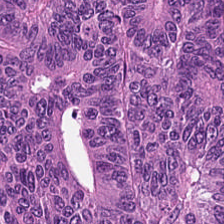H&E. Predominantly adenocarcinoma.
